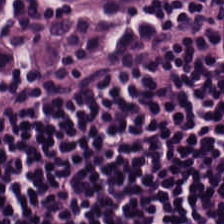H&E-stained tissue section.
Q: What type of tissue is this?
A: This is lymphocytes.
